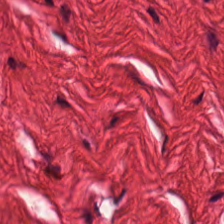The classification is smooth-muscle tissue.
